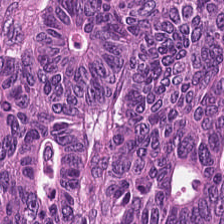H&E-stained tissue section. 0.5 microns per pixel — Predominant tissue: colorectal adenocarcinoma.
